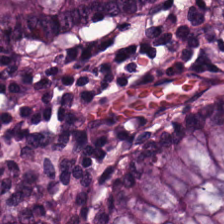WSI patch · H&E stain. The classification is benign colonic mucosa.
